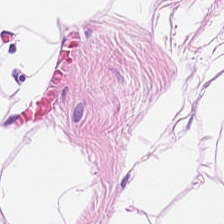The predominant tissue is adipocytes.
